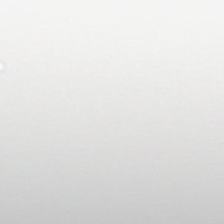Impression — no tissue.
